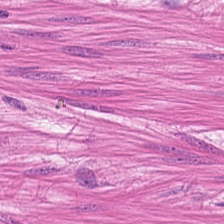Tissue type: smooth muscle.
